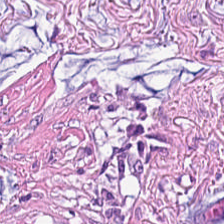0.5 microns per pixel · hematoxylin-and-eosin stained section. Impression — tumor-associated stroma.
